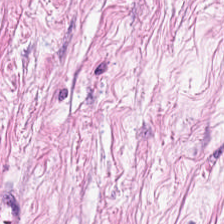Stain: H&E-stained tissue section.
Tile size: 224×224 px patch.
Tissue class: tumor stroma.
